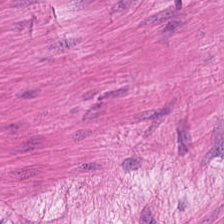Hematoxylin-and-eosin stained section.
Predominant tissue — smooth muscle.
